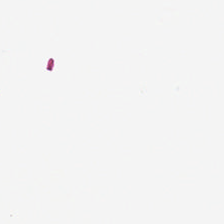FFPE tissue section; H&E.
The classification is background.
